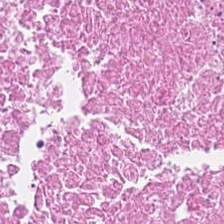The tissue is debris.
